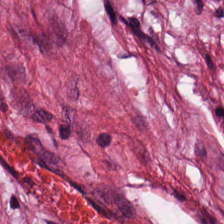Finding — desmoplastic stroma.
